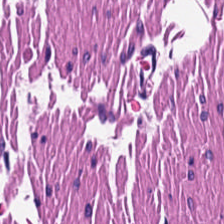Q: What tissue type is shown here?
A: Smooth muscle.
